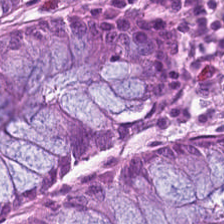H&E stain; 20× equivalent magnification. {"tissue_type": "non-neoplastic colon mucosa"}
